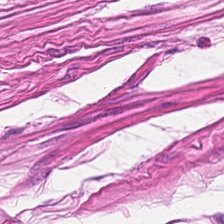Impression → muscularis.
